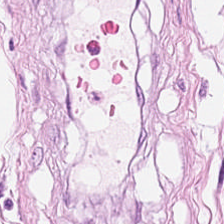Hematoxylin-and-eosin stained section. WSI patch. 20× equivalent magnification. Tissue class: fat tissue.
